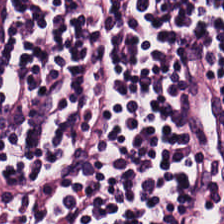Brightfield · hematoxylin and eosin · FFPE — Q: What is shown here?
A: This is lymphoid infiltrate.
